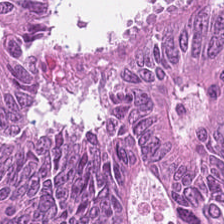Stain: hematoxylin-and-eosin stained section.
Tissue: colorectal adenocarcinoma epithelium.
